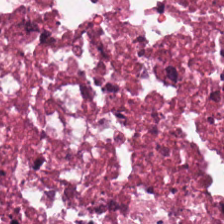H&E-stained tissue section.
The tissue is necrotic debris.
